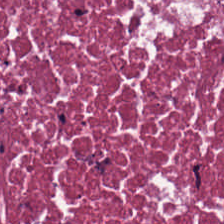224×224 pixel tile. 20× equivalent magnification. H&E.
This field is cellular debris.
